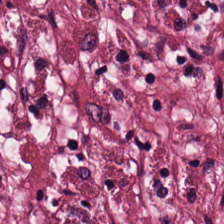{"tissue_type": "tumor stroma"}
